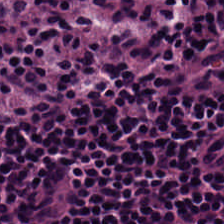Hematoxylin and eosin. The tissue here is lymphoid infiltrate.
